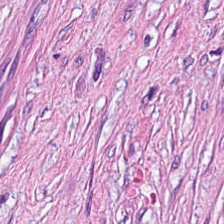Hematoxylin-and-eosin stained section.
Tumor-associated stroma.
